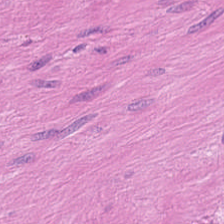Finding — muscularis.
